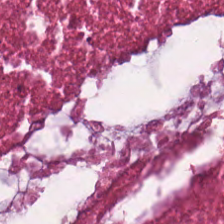H&E — cellular debris.
